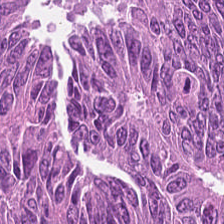H&E; 224×224 pixel tile; whole-slide-image patch.
Showing tumor epithelium.
